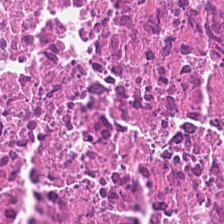H&E stain.
Q: Identify the tissue.
A: Cellular debris.
